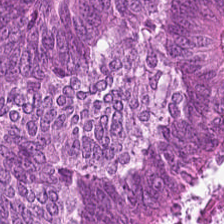Tissue type: colorectal adenocarcinoma epithelium.
